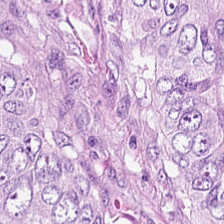H&E-stained tissue section — This field is tumor epithelium.
